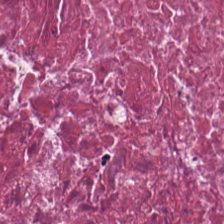Tissue type — debris.
